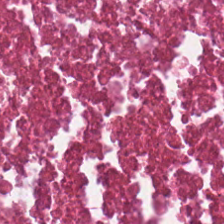Showing cellular debris.
